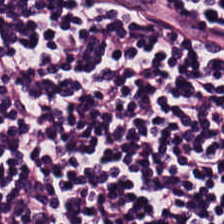Classification = lymphocytic infiltrate.
